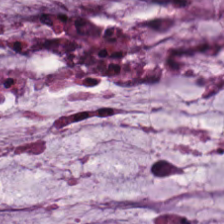Predominant tissue — extracellular mucin.
